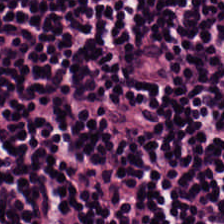The predominant tissue is lymphocyte aggregate.
